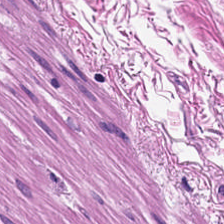H&E · formalin-fixed paraffin-embedded section. Tissue type = muscularis.
